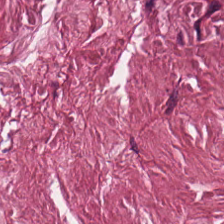Formalin-fixed paraffin-embedded section; 224×224 pixel tile; H&E-stained tissue section.
Predominant tissue = tumor stroma.
